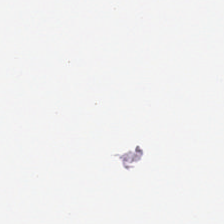Background (no tissue).
